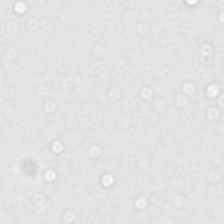H&E-stained tissue section — Background — no tissue in this field.
